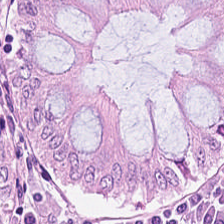H&E stain.
Showing normal colonic mucosa.
